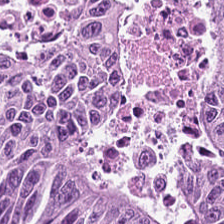Hematoxylin and eosin.
Showing colorectal adenocarcinoma epithelium.
